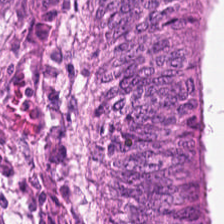Brightfield microscopy; hematoxylin and eosin.
Tissue type — tumor epithelium.
